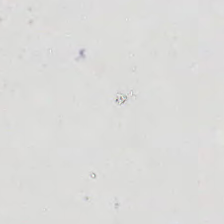Formalin-fixed paraffin-embedded section · 224×224 px tile · hematoxylin-and-eosin stained section.
Background — no tissue in this field.
